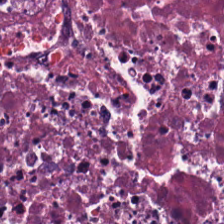H&E — This patch shows debris.
